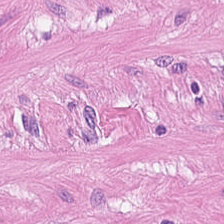H&E patch showing muscularis.
